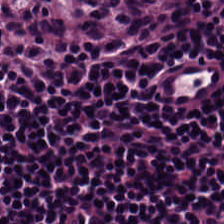Hematoxylin and eosin · 0.5 µm per pixel · FFPE tissue section — Lymphocytes.
